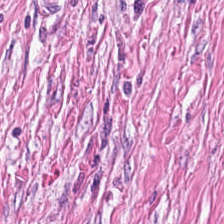Stain: hematoxylin-and-eosin stained section.
Tile size: 224×224 pixel tile.
Resolution: 0.5 microns per pixel.
Tissue class: cancer-associated stroma.
